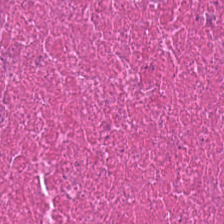FFPE. H&E stain. 0.5 microns per pixel.
Finding → necrotic debris.
